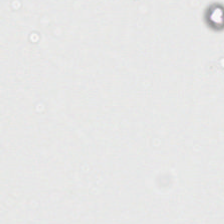The content is background.
